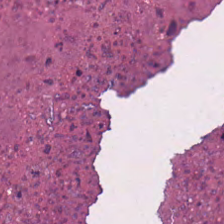FFPE; hematoxylin-and-eosin stained section.
Finding — necrotic debris.
